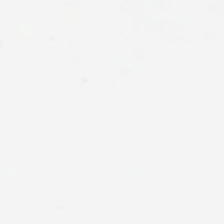H&E stain — Finding — background (no tissue).
